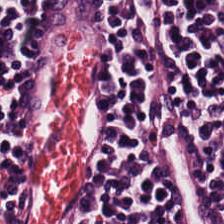Stain: H&E-stained tissue section.
Tissue type: lymphocytic infiltrate.
